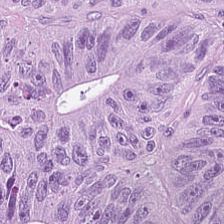H&E.
Predominant tissue: adenocarcinoma.
